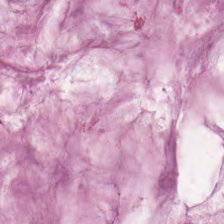Stain: H&E-stained tissue section.
Tissue class: extracellular mucin.
